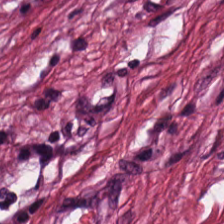20× equivalent magnification · hematoxylin-and-eosin stained section. Tissue type = cancer-associated stroma.
